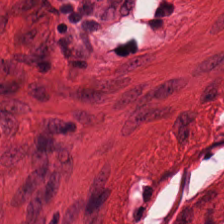The predominant tissue is smooth muscle.
